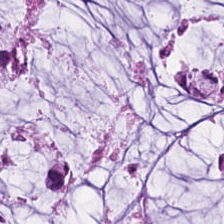H&E stain — Tissue type — mucus.
